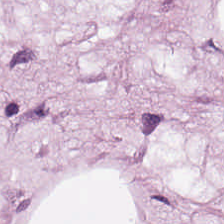Stain: H&E stain.
Resolution: 0.5 µm per pixel.
Classification: adipocytes.
